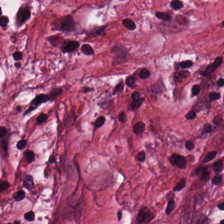Whole-slide-image patch. Hematoxylin and eosin. The predominant tissue is tumor stroma.
